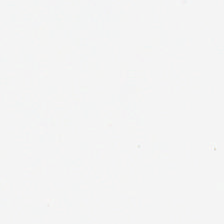H&E stain · FFPE tissue section · whole-slide-image patch — This field is background (no tissue).
